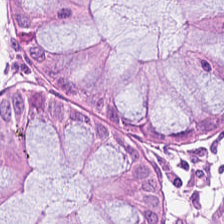Stain: hematoxylin and eosin.
Classification: non-neoplastic colon mucosa.
